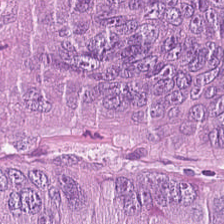Histology — adenocarcinoma.
